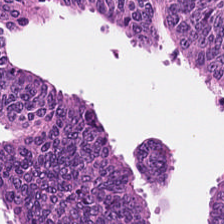Predominant tissue: malignant epithelium.
